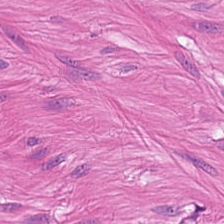Brightfield microscopy · hematoxylin and eosin — Classification — smooth muscle.
